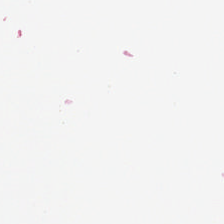H&E stain. Q: What is shown in this field?
A: This is background.
